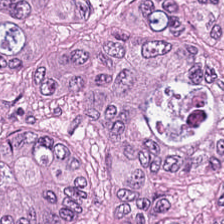Finding — colorectal adenocarcinoma epithelium.
